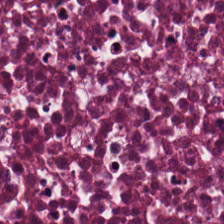Stain: H&E-stained tissue section.
Classification: debris.
